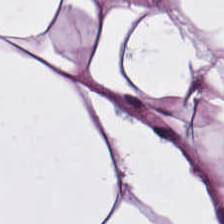Hematoxylin and eosin. Q: What is shown here?
A: This is fat tissue.
